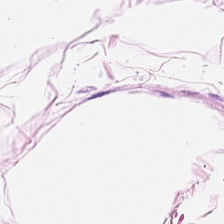Stain: hematoxylin-and-eosin stained section.
Tissue type: adipose tissue.
